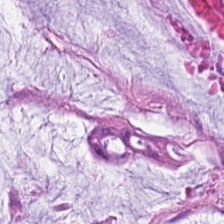224×224 px patch. H&E stain.
Predominant tissue: extracellular mucin.
